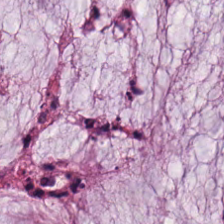Predominant tissue: mucus.
